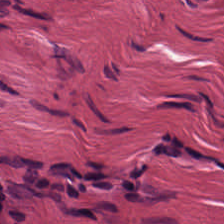Hematoxylin-and-eosin section: cancer-associated stroma.
